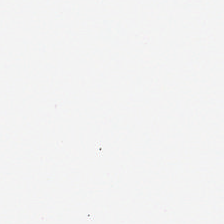Hematoxylin-and-eosin stained section. The field content is empty background.
